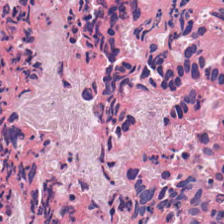Hematoxylin-and-eosin stained section · formalin-fixed paraffin-embedded section — Showing cellular debris.
